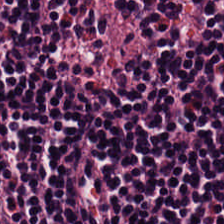224×224 px patch · H&E.
Q: What tissue type is shown here?
A: It is lymphocyte aggregate.
